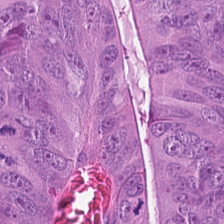Formalin-fixed paraffin-embedded section · 0.5 µm per pixel · hematoxylin-and-eosin stained section.
Tissue = tumor epithelium.
